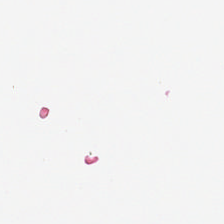0.5 µm per pixel. H&E. 224×224 px patch. Q: What does this patch show?
A: It is empty background.
